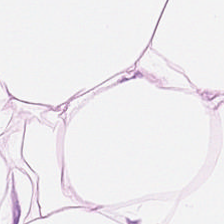Hematoxylin and eosin. Fat tissue.
